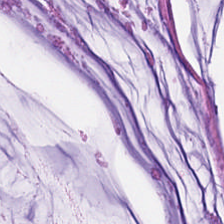H&E. 224×224 pixel tile.
{"tissue_type": "mucin"}
